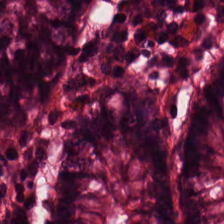This patch shows non-neoplastic colon mucosa.
